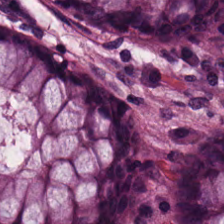H&E stain · FFPE tissue section. This field is benign colonic mucosa.
